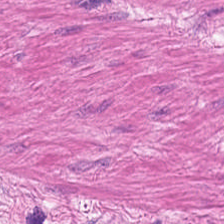Stain: H&E-stained tissue section.
Resolution: 0.5 µm/px.
Tissue class: smooth muscle.
